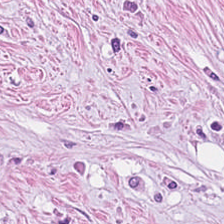Classification = cancer-associated stroma.
